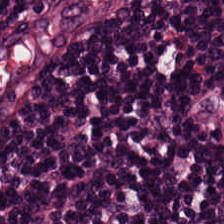Hematoxylin and eosin. Q: What type of tissue is this?
A: It is lymphocytes.
